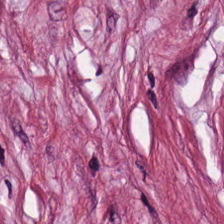224×224 pixel tile · H&E-stained tissue section.
The tissue here is desmoplastic stroma.
